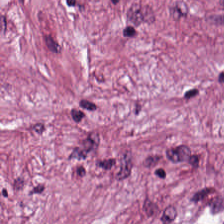H&E-stained tissue section; 224×224 pixel tile — This patch shows cancer-associated stroma.
